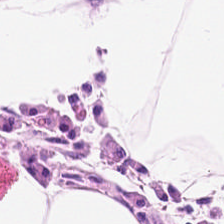Hematoxylin-and-eosin stained section — Q: What type of tissue is this?
A: The field shows adipose.
